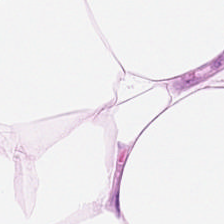H&E. {"tissue_type": "adipose"}
